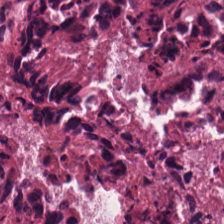Showing cellular debris.
